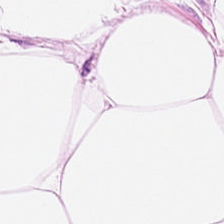H&E · 0.5 µm per pixel.
Classification = adipose tissue.
